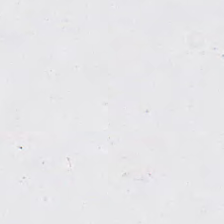Hematoxylin and eosin. {"content": "empty background"}
